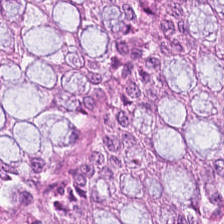H&E-stained tissue section.
Predominantly normal colonic mucosa.
